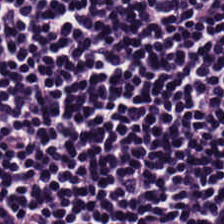Formalin-fixed paraffin-embedded section; brightfield microscopy; H&E.
The predominant tissue is lymphocyte aggregate.
